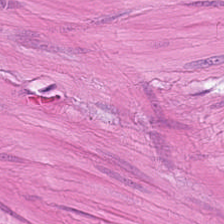H&E-stained tissue section · FFPE tissue section.
Smooth muscle.
